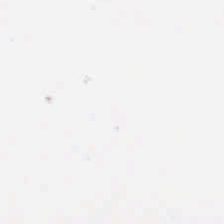This field is background (no tissue).
